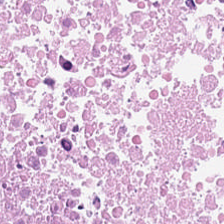Tissue type — necrotic debris.
